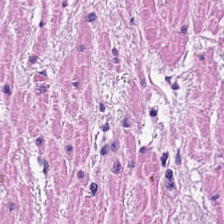This patch shows smooth-muscle tissue.
